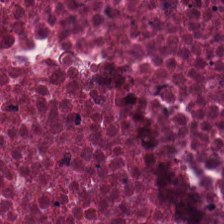Hematoxylin-and-eosin stained section; formalin-fixed paraffin-embedded section.
Showing debris.
